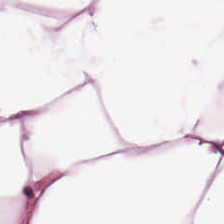Hematoxylin and eosin. Brightfield.
The predominant tissue is adipocytes.
